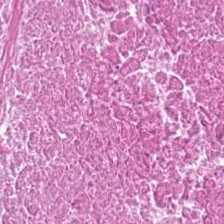H&E stain — Finding — debris.
